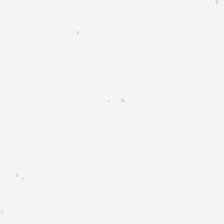H&E stain. Whole-slide-image patch. 224×224 pixel tile — Finding → no tissue.
